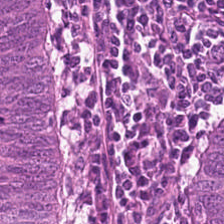H&E.
This field is colorectal adenocarcinoma.
